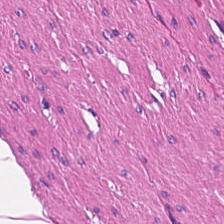Hematoxylin-and-eosin section: smooth-muscle tissue.
